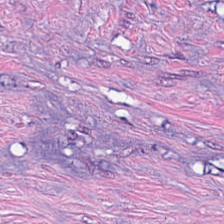H&E — This field is cancer-associated stroma.
